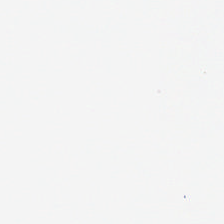Hematoxylin-and-eosin stained section; FFPE tissue section.
Q: What is shown in this field?
A: No tissue.
